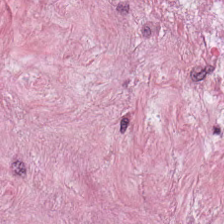Q: Classify this patch.
A: The field shows tumor-associated stroma.
